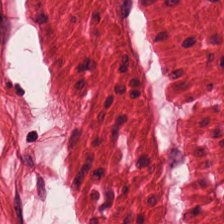Q: Classify this patch.
A: The field shows smooth muscle.
